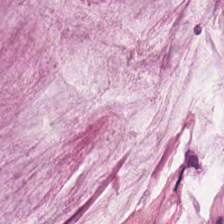Brightfield microscopy · H&E stain.
Classification — mucin.
